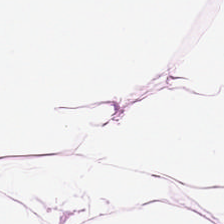H&E-stained section; the field shows adipose.
